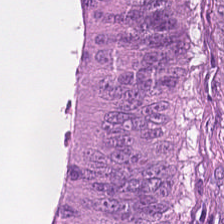Formalin-fixed paraffin-embedded section; H&E.
Colorectal adenocarcinoma epithelium.
